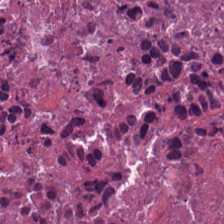Stain: hematoxylin-and-eosin stained section.
Tissue type: debris.
